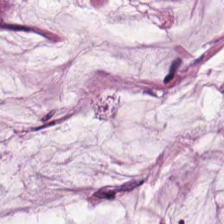FFPE · hematoxylin and eosin.
This field is mucin.
